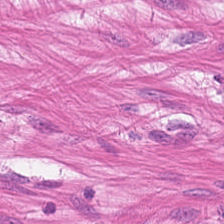Hematoxylin-and-eosin stained section · 224×224 px patch. Q: What tissue is shown?
A: Smooth-muscle tissue.
